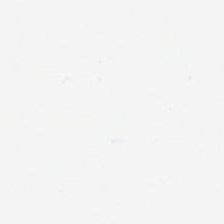H&E stain — Histology → background (no tissue).
